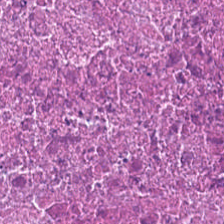Stain: H&E stain.
Tissue class: cellular debris.
